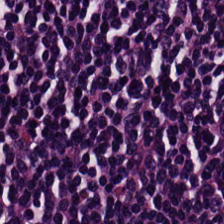H&E-stained tissue section. Brightfield microscopy — Showing lymphoid infiltrate.
